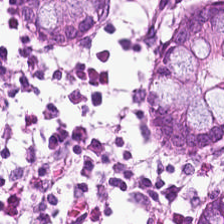H&E stain.
Q: What is shown here?
A: It is normal colonic mucosa.
